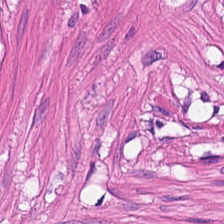Brightfield microscopy; hematoxylin-and-eosin stained section.
Showing smooth-muscle tissue.
